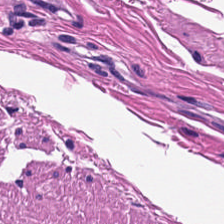H&E stain — The predominant tissue is muscularis.
